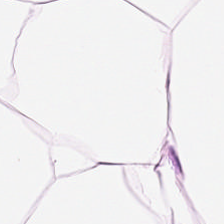Hematoxylin and eosin — Q: Classify this patch.
A: This is adipose.
